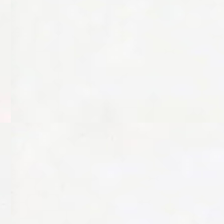FFPE tissue section. H&E stain — Background (no tissue).
